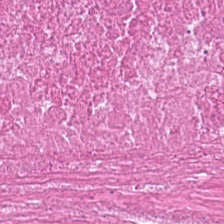Stain: H&E stain.
Tissue class: necrotic debris.
